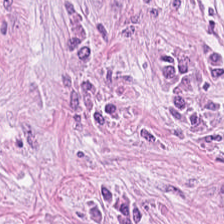Hematoxylin-and-eosin stained section — Predominant tissue: desmoplastic stroma.
